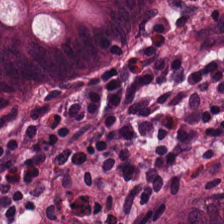Whole-slide-image patch. H&E — Tissue = non-neoplastic colon mucosa.
